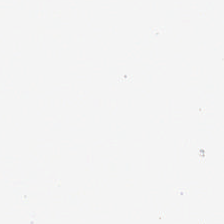H&E stain — Classification = background (no tissue).
